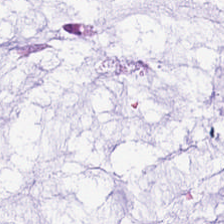H&E-stained tissue section · 224×224 pixel tile · FFPE.
Mucus.
